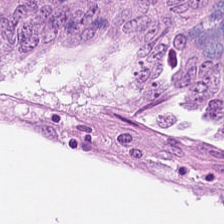H&E stain. Predominantly colorectal adenocarcinoma.
